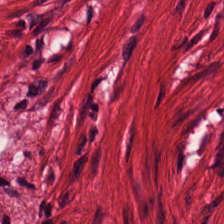FFPE; H&E-stained tissue section — The tissue type is muscularis.
